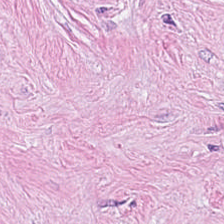H&E-stained tissue section; 0.5 µm/px — Finding — cancer-associated stroma.
